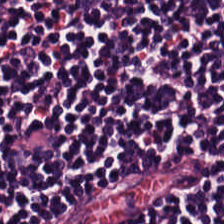Hematoxylin and eosin. WSI patch. 0.5 microns per pixel.
The predominant tissue is lymphocytic infiltrate.
